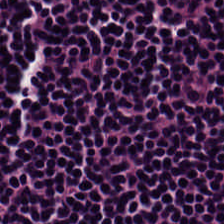Stain: H&E.
Predominant tissue: lymphocytes.
